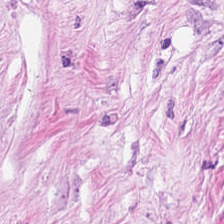Hematoxylin and eosin; 224×224 px tile — The tissue class is cancer-associated stroma.
